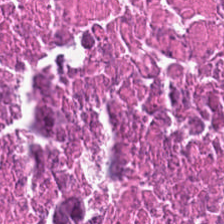Hematoxylin and eosin; 20× equivalent magnification; brightfield — The tissue here is necrotic debris.
